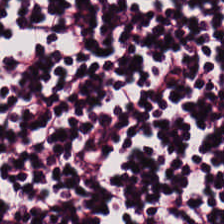H&E-stained tissue section. FFPE tissue section — Impression — lymphocytic infiltrate.
